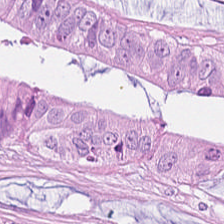Classification = adenocarcinoma.
